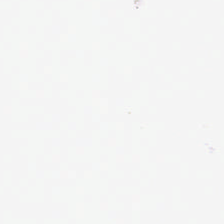H&E — No tissue present; background only.
